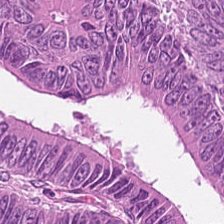0.5 µm per pixel; H&E-stained tissue section; FFPE — Classification — malignant epithelium.
